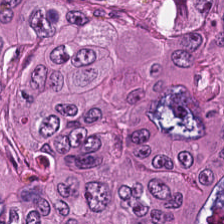224×224 pixel tile. H&E. This patch shows tumor epithelium.
